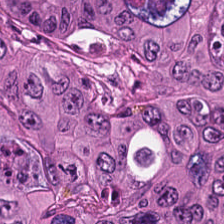Q: What tissue is shown?
A: Tumor epithelium.
